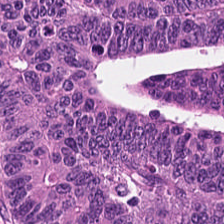Stain: hematoxylin-and-eosin stained section.
Tissue type: tumor epithelium.
